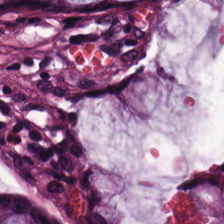Hematoxylin-and-eosin stained section. This patch shows benign colonic mucosa.
